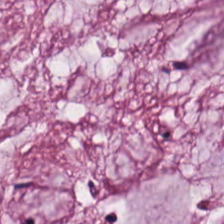WSI patch; H&E.
Finding — extracellular mucin.
